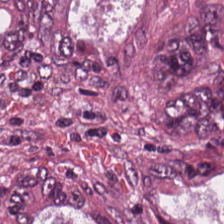H&E-stained tissue section.
This patch shows colorectal adenocarcinoma.
